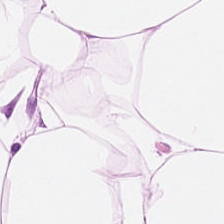Adipose tissue.
